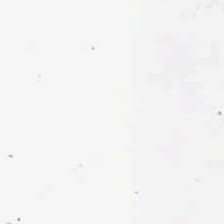Background — no tissue in this field.
